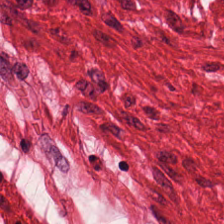Hematoxylin-and-eosin stained section — Smooth muscle.
